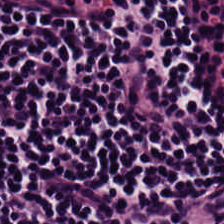Hematoxylin-and-eosin stained section. Predominant tissue — lymphocytic infiltrate.
